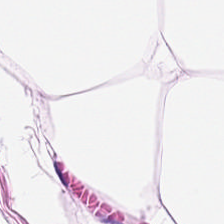Finding — fat tissue.
